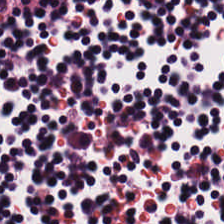H&E stain. Impression — lymphocytes.
